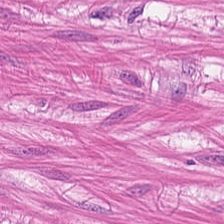20× equivalent magnification; H&E-stained tissue section.
Predominantly smooth muscle.
